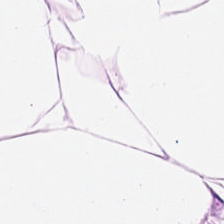Stain: H&E.
Tile size: 224×224 px tile.
Resolution: 0.5 µm/px.
Predominant tissue: fat tissue.
